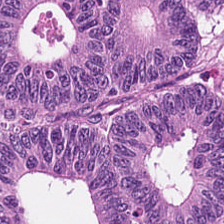H&E-stained tissue section — The tissue here is colorectal adenocarcinoma epithelium.
